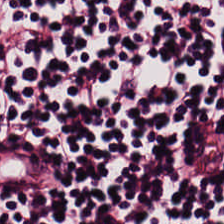H&E stain.
Lymphoid infiltrate.
